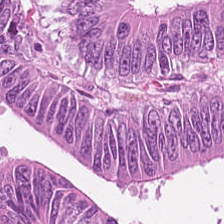Hematoxylin-and-eosin stained section. FFPE — Tissue class = adenocarcinoma.
